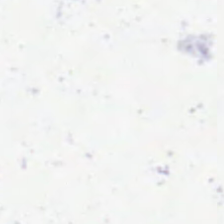Classification = background.
